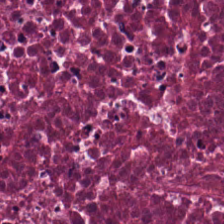Formalin-fixed paraffin-embedded section · hematoxylin and eosin — Tissue — necrotic debris.
